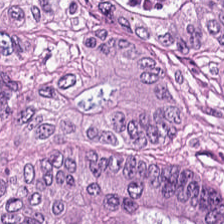Hematoxylin-and-eosin stained section — Classification — adenocarcinoma.
